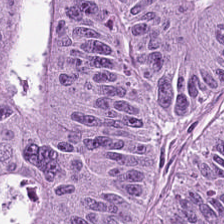Hematoxylin-and-eosin stained section — Classification — tumor epithelium.
